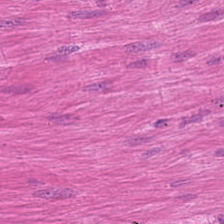H&E stain. The predominant tissue is smooth muscle.
